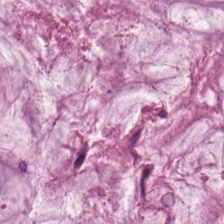H&E; brightfield.
Impression → mucin.
